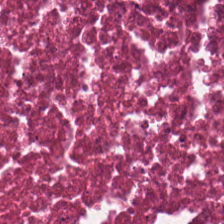Stain: hematoxylin and eosin.
Resolution: 0.5 µm/px.
Classification: necrotic debris.
